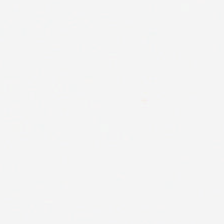Hematoxylin and eosin.
This patch shows background.
